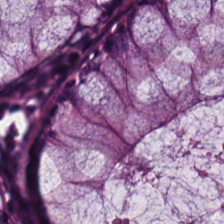Hematoxylin and eosin — This field is normal colon mucosa.
